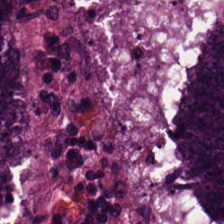20× equivalent magnification. H&E stain. The tissue here is malignant epithelium.
